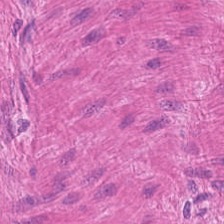H&E stain — This field is muscularis.
